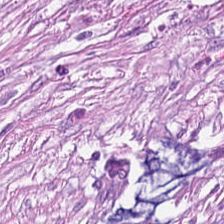Hematoxylin and eosin. This field is tumor-associated stroma.
